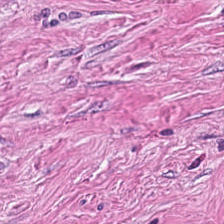Hematoxylin-and-eosin stained section · 0.5 µm per pixel — Tissue — tumor-associated stroma.
